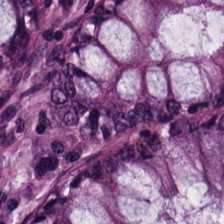Brightfield microscopy; 224×224 px patch; H&E-stained tissue section.
Q: What tissue type is shown here?
A: Normal colon mucosa.
